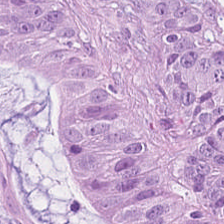Stain: H&E-stained tissue section.
Resolution: 0.5 µm/px.
Preparation: FFPE.
Tissue: malignant epithelium.
